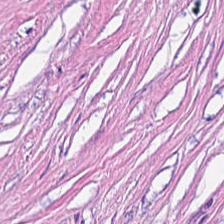H&E. Classification: tumor-associated stroma.
